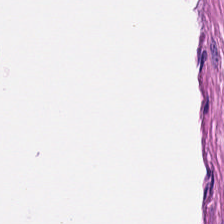H&E; 224×224 pixel tile. Predominant tissue — muscularis.
